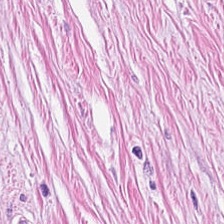Stain: H&E-stained tissue section.
Preparation: formalin-fixed paraffin-embedded section.
Acquisition: brightfield microscopy.
Tissue class: tumor-associated stroma.
